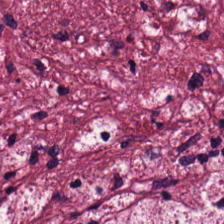Hematoxylin-and-eosin stained section. 0.5 microns per pixel. 224×224 px patch. Showing desmoplastic stroma.
